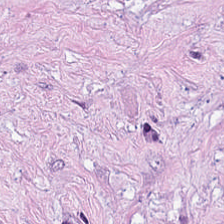Stain: H&E stain.
Tissue class: tumor-associated stroma.
